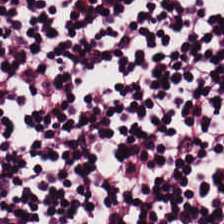H&E.
This field is lymphocytic infiltrate.
